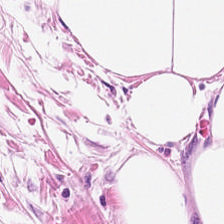H&E — Classification = adipocytes.
